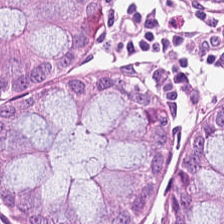Brightfield. Hematoxylin and eosin.
This field is normal colonic mucosa.
